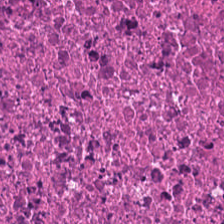224×224 px tile · H&E — Predominant tissue = necrotic debris.
